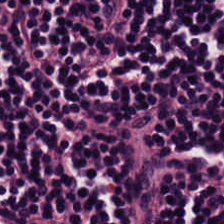Classification: lymphocyte aggregate.
